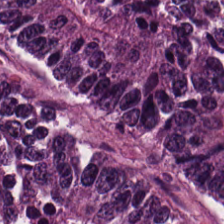H&E-stained tissue section showing tumor epithelium.
